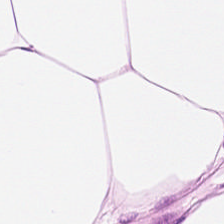Hematoxylin-and-eosin stained section.
The tissue here is adipose.
